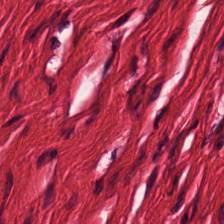Hematoxylin and eosin — {"tissue_type": "muscularis"}
